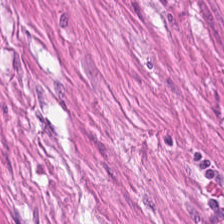Hematoxylin-and-eosin stained section; 0.5 µm per pixel.
Predominant tissue: smooth-muscle tissue.
